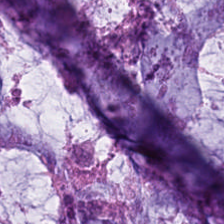H&E-stained tissue section. This patch shows mucus.
